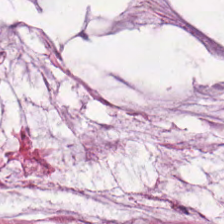H&E-stained tissue section. Tissue class: extracellular mucin.
